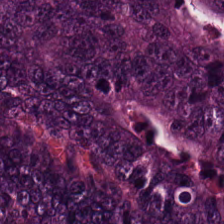H&E stain. The tissue type is malignant epithelium.
